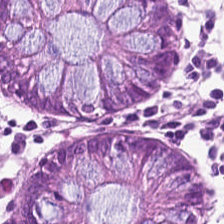Hematoxylin and eosin. Showing normal colon mucosa.
